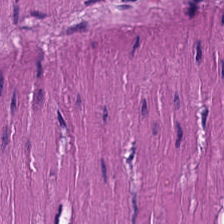Q: Classify this patch.
A: This is muscularis.
